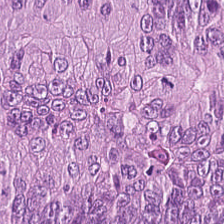Showing tumor epithelium.
